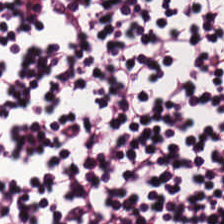Hematoxylin and eosin.
This field is lymphoid infiltrate.
